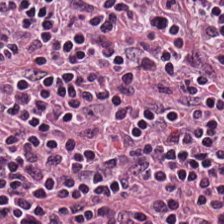H&E-stained section; the field shows lymphoid infiltrate.
